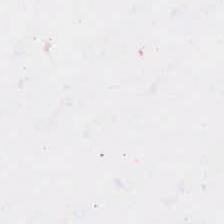FFPE; 224×224 px tile; hematoxylin-and-eosin stained section. Histology — background.
